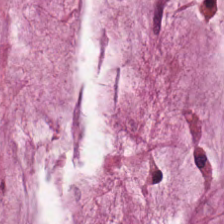H&E-stained tissue section.
The predominant tissue is mucus.
